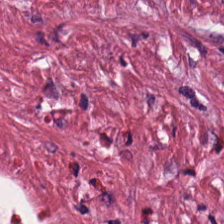Stain: H&E-stained tissue section.
Classification: tumor-associated stroma.
